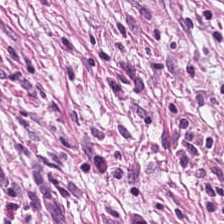Stain: H&E stain.
Predominant tissue: tumor-associated stroma.
